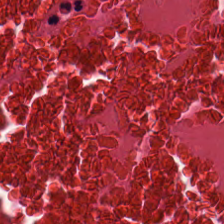Brightfield · hematoxylin-and-eosin stained section.
Tissue type = debris.
